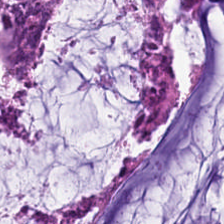0.5 µm/px; H&E stain.
The predominant tissue is extracellular mucin.
